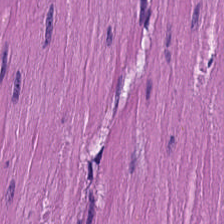H&E · WSI patch. Histology — muscularis.
